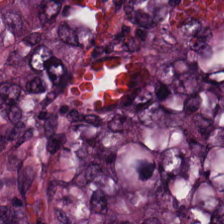Hematoxylin and eosin; FFPE — {"tissue_type": "colorectal adenocarcinoma"}
